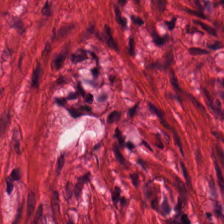Tissue: muscularis.
